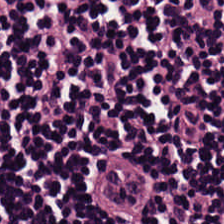Whole-slide-image patch · 0.5 microns per pixel · H&E-stained tissue section — Predominant tissue — lymphocytic infiltrate.
